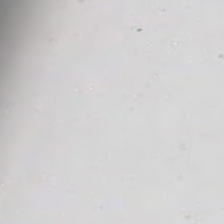Stain: H&E.
Resolution: 0.5 microns per pixel.
Content: background.
